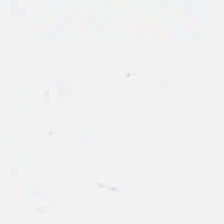WSI patch. 224×224 pixel tile. H&E. Q: What is shown here?
A: This is background.
